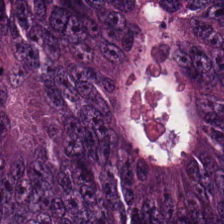H&E-stained tissue section — {"tissue_type": "colorectal adenocarcinoma"}
